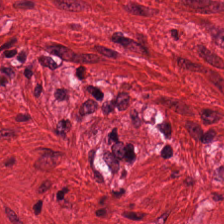224×224 px tile; hematoxylin and eosin; 0.5 µm per pixel — The tissue class is smooth-muscle tissue.
